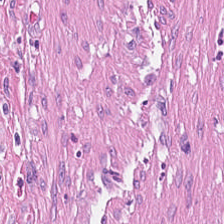Stain: hematoxylin and eosin.
Tissue class: desmoplastic stroma.
